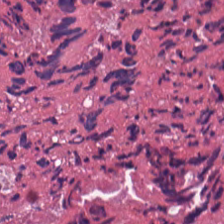{"tissue_type": "cellular debris"}
